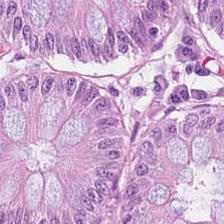Hematoxylin-and-eosin stained section — Predominantly non-neoplastic colon mucosa.
